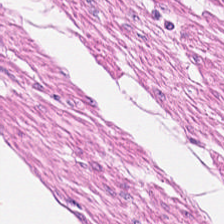Brightfield microscopy. H&E.
Tissue class: smooth-muscle tissue.
